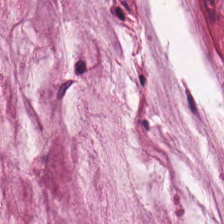This field is mucin.
